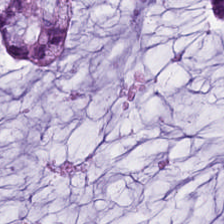Predominant tissue = mucin.
